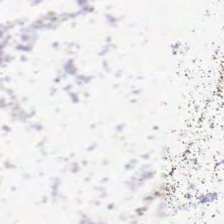224×224 px patch · 0.5 µm/px · H&E — Q: Classify this patch.
A: The field shows no tissue.
